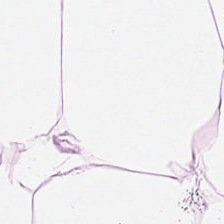H&E. 224×224 px tile.
Classification — adipose.
